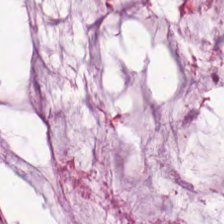H&E-stained section; the field shows mucus.
